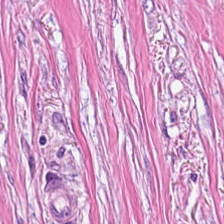{"tissue_type": "desmoplastic stroma"}
